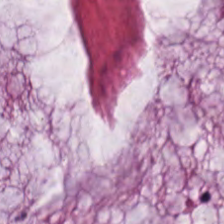Hematoxylin-and-eosin stained section · 224×224 px tile · formalin-fixed paraffin-embedded section.
Classification — mucus.
